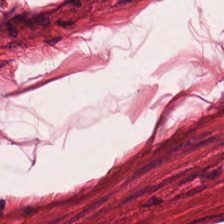H&E · brightfield · 0.5 microns per pixel — Tissue = muscularis.
